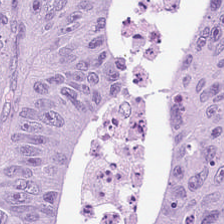WSI patch · hematoxylin-and-eosin stained section — Q: Classify this patch.
A: This is adenocarcinoma.
